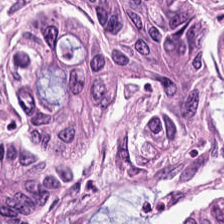H&E stain. This patch shows colorectal adenocarcinoma epithelium.
